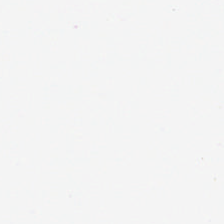Hematoxylin and eosin · 0.5 µm/px. Field content — background.
